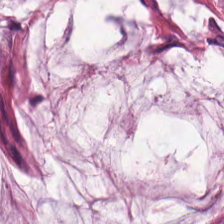H&E stain. Mucin.
